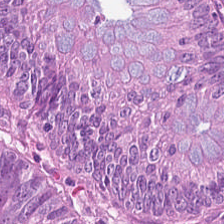Whole-slide-image patch · H&E · 0.5 µm/px. Showing adenocarcinoma.
